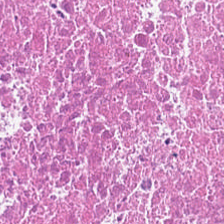H&E stain · 0.5 µm/px.
Tissue type — cellular debris.
